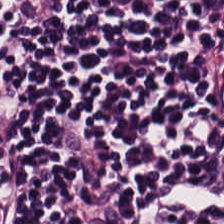0.5 µm/px. H&E stain — Predominant tissue — lymphocytic infiltrate.
